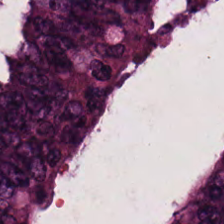H&E stain; 224×224 pixel tile — Histology → malignant epithelium.
